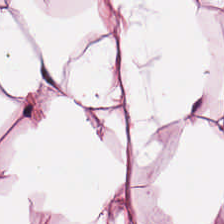Stain: H&E-stained tissue section.
Resolution: 0.5 microns per pixel.
Preparation: formalin-fixed paraffin-embedded section.
Classification: adipose.
